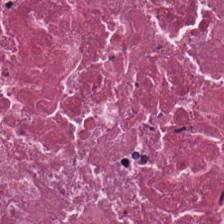Brightfield microscopy · H&E · 224×224 px tile — Q: What type of tissue is this?
A: Cellular debris.
